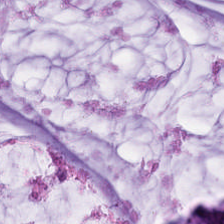H&E-stained tissue section. 224×224 px patch. Formalin-fixed paraffin-embedded section.
Extracellular mucin.
